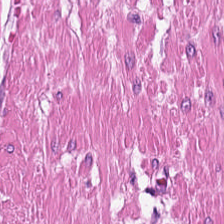Hematoxylin and eosin.
Predominantly smooth muscle.
